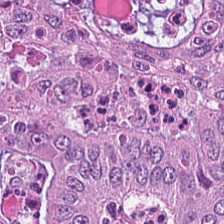FFPE; 20× equivalent magnification; H&E stain — The tissue type is adenocarcinoma.
